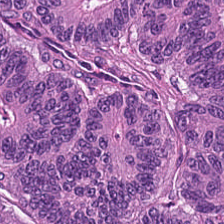The tissue type is malignant epithelium.
